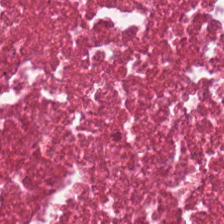Whole-slide-image patch. Hematoxylin and eosin. Tissue class: necrotic debris.
